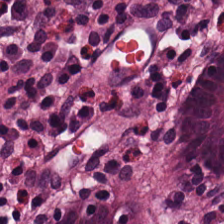224×224 px tile; H&E stain; 0.5 µm/px.
Showing normal colon mucosa.
